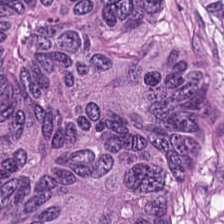Hematoxylin-and-eosin stained section · 224×224 px tile.
This patch shows malignant epithelium.
